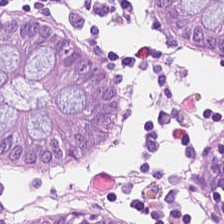Hematoxylin-and-eosin stained section. Finding — normal colon mucosa.
